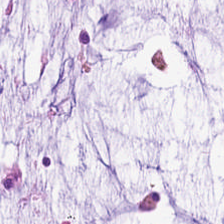H&E-stained section; the field shows extracellular mucin.
